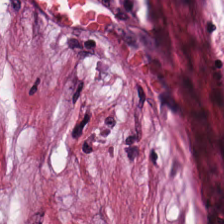Stain: H&E-stained tissue section.
Resolution: 0.5 microns per pixel.
Tile size: 224×224 px patch.
Classification: desmoplastic stroma.
